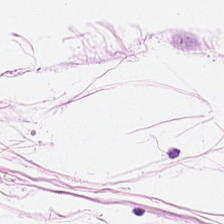H&E-stained tissue section · 224×224 pixel tile · brightfield — Fat tissue.
